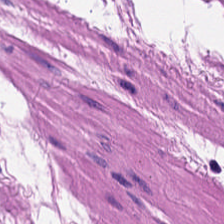H&E-stained tissue section; 20× equivalent magnification.
Tissue type: smooth-muscle tissue.
